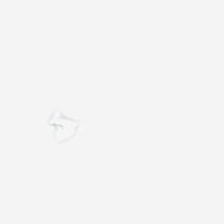H&E stain — Empty field — background (no tissue).
